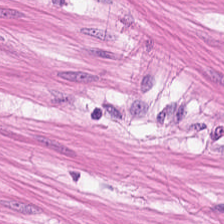H&E.
Histology → smooth-muscle tissue.
